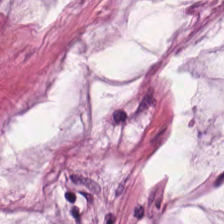Brightfield microscopy. Hematoxylin and eosin. 224×224 px tile. Q: What tissue is shown?
A: This is extracellular mucin.
